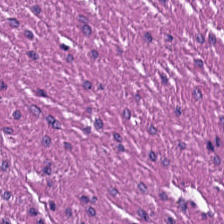224×224 px patch; 20× equivalent magnification; H&E.
This field is muscularis.
